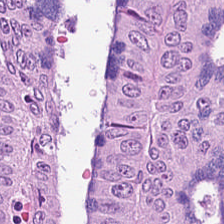H&E-stained tissue section. FFPE. 224×224 px patch. Finding — adenocarcinoma.
